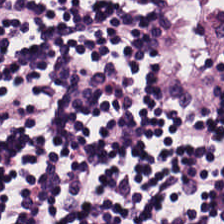Hematoxylin-and-eosin section: lymphocytes.
